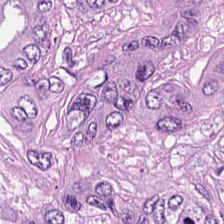FFPE tissue section. 224×224 px tile. H&E stain.
{"tissue_type": "colorectal adenocarcinoma epithelium"}
